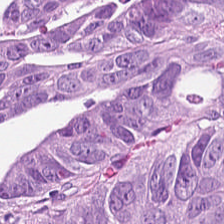H&E.
The predominant tissue is colorectal adenocarcinoma.
